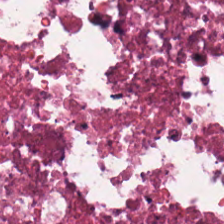Hematoxylin and eosin. Brightfield microscopy. 224×224 px patch — This field is necrotic debris.
